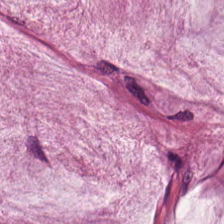Stain: H&E-stained tissue section.
Preparation: FFPE.
Predominant tissue: mucin.
